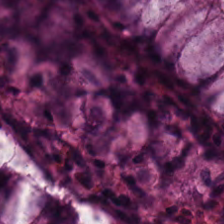H&E. Showing normal colonic mucosa.
